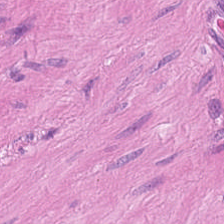H&E patch showing smooth muscle.
